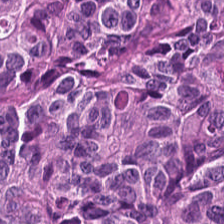Hematoxylin and eosin; 0.5 µm/px; brightfield microscopy — The predominant tissue is colorectal adenocarcinoma.
